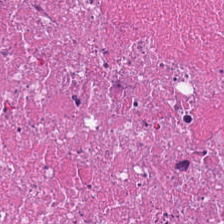Finding → necrotic debris.
